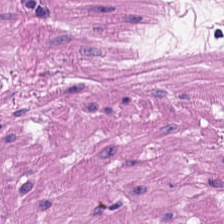Whole-slide-image patch · hematoxylin-and-eosin stained section · FFPE tissue section. The predominant tissue is smooth-muscle tissue.
